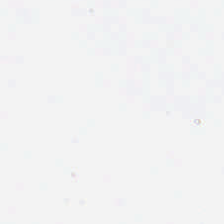The classification is background (no tissue).
